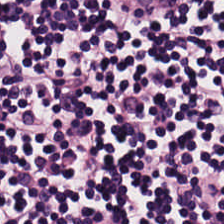0.5 µm/px. 224×224 px tile. H&E. Q: Identify the tissue.
A: Lymphocyte aggregate.
